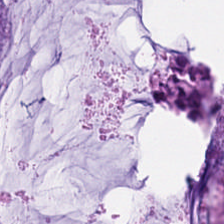Brightfield microscopy; hematoxylin-and-eosin stained section. The predominant tissue is mucus.
